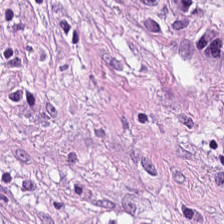Hematoxylin-and-eosin stained section — The tissue here is cancer-associated stroma.
